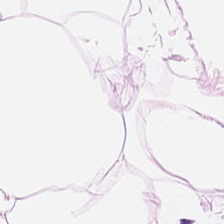Stain: H&E stain.
Tissue type: fat tissue.
